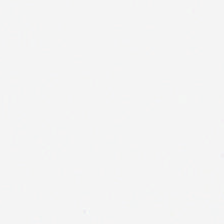H&E. 0.5 microns per pixel.
This patch shows empty background.
